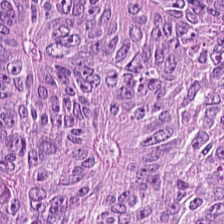Hematoxylin-and-eosin stained section. Q: What tissue is shown?
A: This is tumor epithelium.
